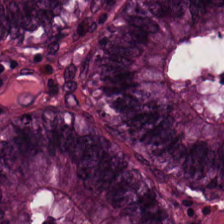H&E stain.
The tissue here is normal colon mucosa.
